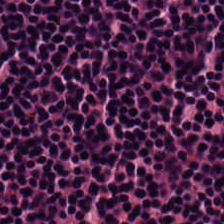FFPE tissue section; H&E-stained tissue section; whole-slide-image patch. Showing lymphocyte aggregate.
